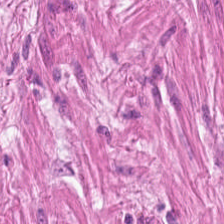Q: Classify this patch.
A: The field shows smooth-muscle tissue.
